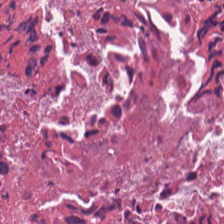Tissue — cellular debris.
